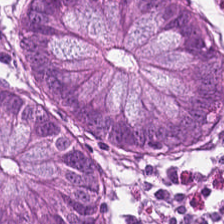{"tissue_type": "benign colonic mucosa"}
